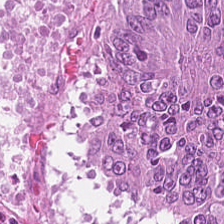Stain: H&E.
Tissue class: adenocarcinoma.
